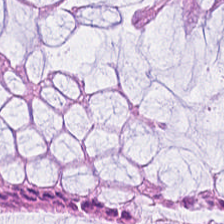Hematoxylin and eosin — Impression — benign colonic mucosa.
